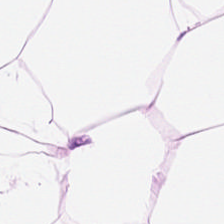Stain: hematoxylin-and-eosin stained section.
Preparation: FFPE tissue section.
Predominant tissue: adipocytes.
